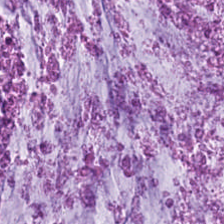Hematoxylin and eosin. Predominant tissue — mucin.
